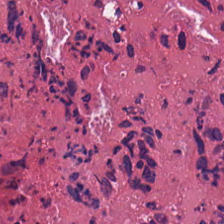Stain: hematoxylin-and-eosin stained section.
Preparation: formalin-fixed paraffin-embedded section.
Tissue type: necrotic debris.
